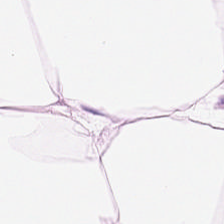0.5 µm per pixel; hematoxylin-and-eosin stained section.
Tissue: fat tissue.
